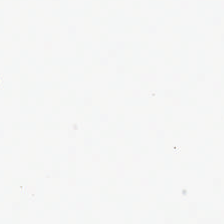Hematoxylin and eosin — Classification = empty background.
